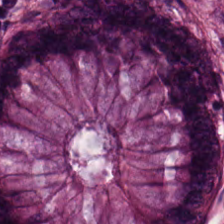H&E-stained tissue section — Tissue — normal colon mucosa.
